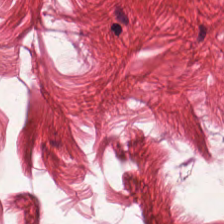H&E-stained tissue section.
This patch shows smooth-muscle tissue.
